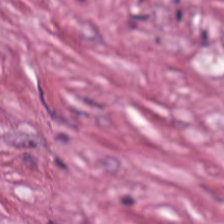Stain: hematoxylin-and-eosin stained section.
Predominant tissue: tumor stroma.
